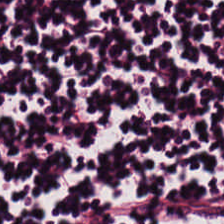Finding — lymphocyte aggregate.
